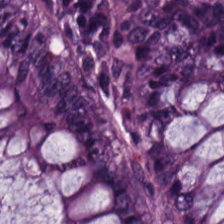H&E stain — Histology — non-neoplastic colon mucosa.
